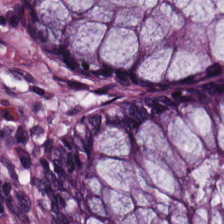0.5 µm/px; H&E stain; FFPE tissue section. Impression — normal colon mucosa.
